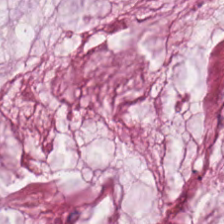H&E stain.
The tissue here is mucin.
